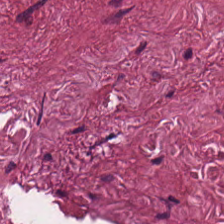H&E-stained tissue section. Histology — cancer-associated stroma.
